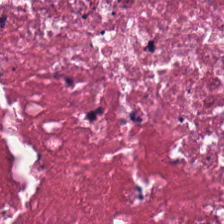Hematoxylin and eosin — Showing debris.
